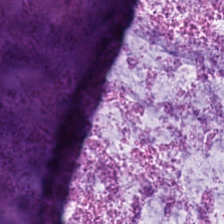Predominant tissue = extracellular mucin.
